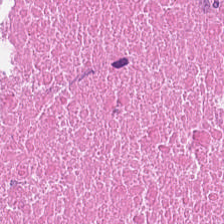Q: What tissue type is shown here?
A: This is debris.
